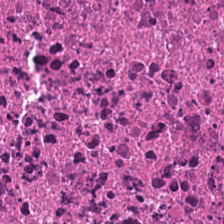Classification — debris.
